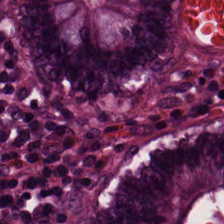Brightfield microscopy. Formalin-fixed paraffin-embedded section. Hematoxylin and eosin. Q: What type of tissue is this?
A: It is benign colonic mucosa.
